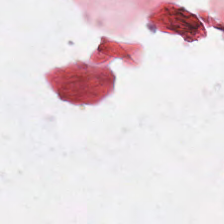Field content: background.
